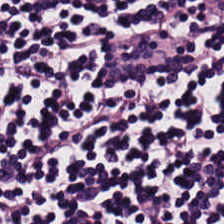224×224 px tile. Hematoxylin and eosin.
This patch shows lymphoid infiltrate.
